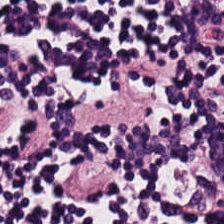H&E stain.
This field is lymphocytes.
